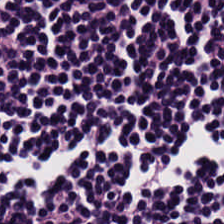Stain: hematoxylin-and-eosin stained section.
Tissue: lymphoid infiltrate.
